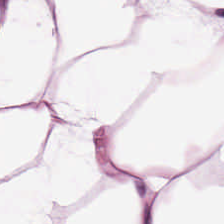H&E-stained tissue section — This field is adipocytes.
